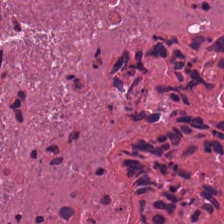This patch shows cellular debris.
